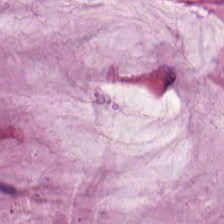{"tissue_type": "mucin"}
